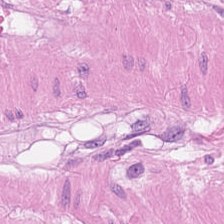H&E stain. Classification: smooth muscle.
